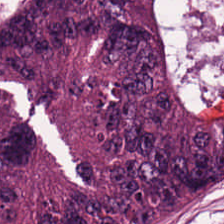H&E stain — Finding — malignant epithelium.
